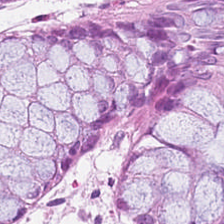Tissue: normal colon mucosa.
